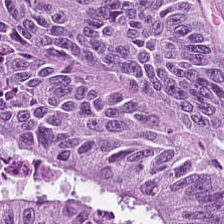Stain: H&E.
Tile size: 224×224 pixel tile.
Tissue class: tumor epithelium.
